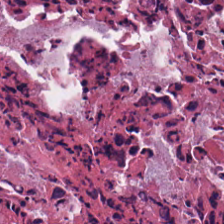FFPE; hematoxylin and eosin — The tissue here is debris.
